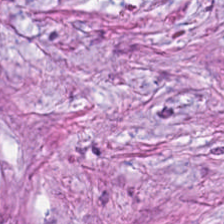Stain: H&E stain.
Classification: cancer-associated stroma.
